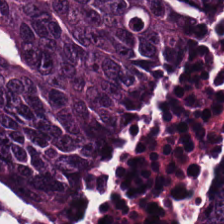H&E. Predominantly colorectal adenocarcinoma.
